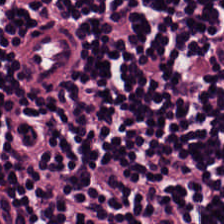H&E stain — Lymphocytes.
